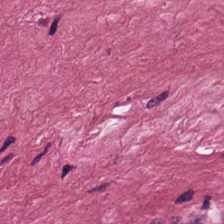H&E-stained tissue section showing tumor stroma.
